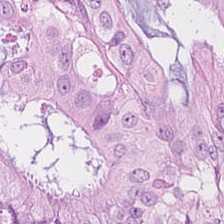Classification — tumor epithelium.
